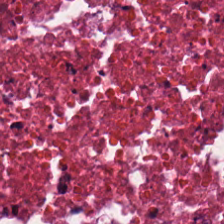FFPE tissue section; hematoxylin-and-eosin stained section.
Predominant tissue — cellular debris.
